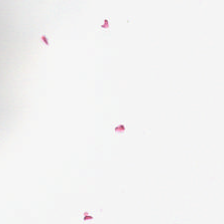Hematoxylin-and-eosin stained section — This patch shows background.
